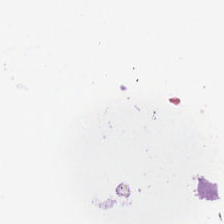H&E-stained tissue section.
Classification — background (no tissue).
